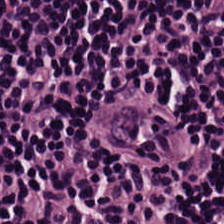H&E stain — The predominant tissue is lymphocytic infiltrate.
